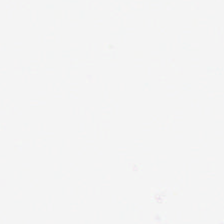H&E stain; 224×224 px patch — Q: What does this patch show?
A: Background.
